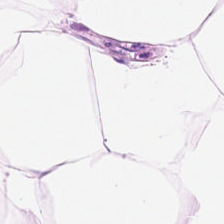Stain: H&E-stained tissue section.
Predominant tissue: adipose.
